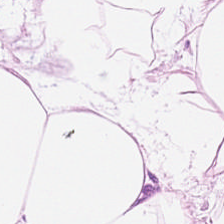Brightfield; H&E stain — Histology → adipose.
